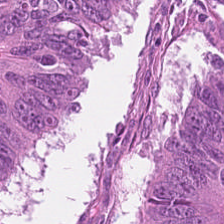Finding — tumor epithelium.
